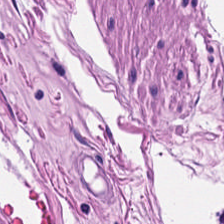This field is muscularis.
